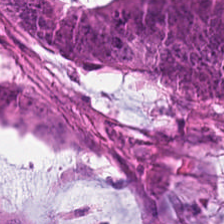0.5 microns per pixel · FFPE tissue section · H&E-stained tissue section — Classification: colorectal adenocarcinoma.
